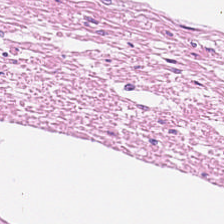Hematoxylin and eosin — {"tissue_type": "smooth-muscle tissue"}
